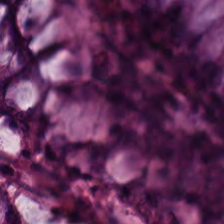H&E. Tissue type = non-neoplastic colon mucosa.
